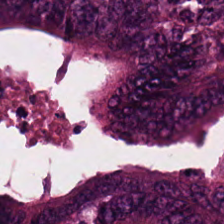Brightfield · H&E.
Tissue type — malignant epithelium.
